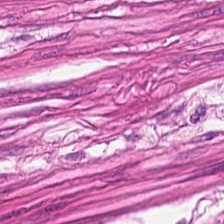Hematoxylin-and-eosin stained section.
The tissue type is smooth-muscle tissue.
